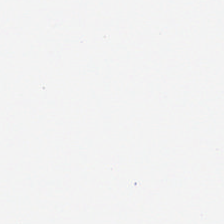H&E-stained tissue section.
Field content = background (no tissue).
